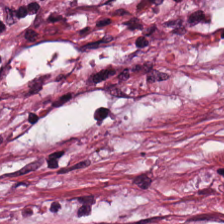224×224 px tile · hematoxylin-and-eosin stained section. This patch shows tumor stroma.
